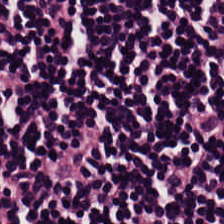H&E.
Lymphocytic infiltrate.
